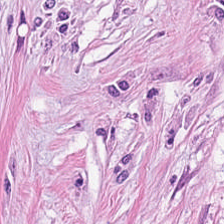H&E patch showing cancer-associated stroma.
